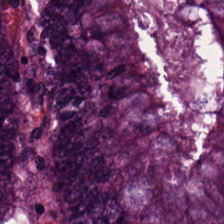224×224 px tile; 0.5 µm per pixel; hematoxylin and eosin — Tissue type — colorectal adenocarcinoma epithelium.
